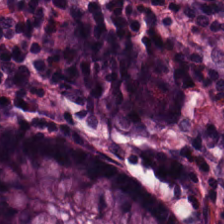Stain: H&E stain.
Preparation: FFPE.
Classification: normal colon mucosa.
